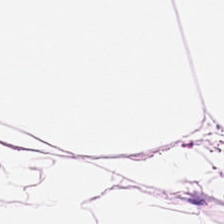Hematoxylin and eosin — Showing adipose tissue.
